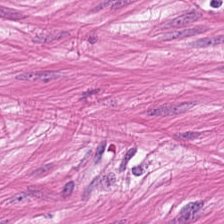Whole-slide-image patch; 224×224 pixel tile; H&E-stained tissue section. The tissue type is muscularis.
